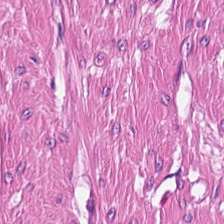FFPE tissue section · hematoxylin-and-eosin stained section — This patch shows muscularis.
